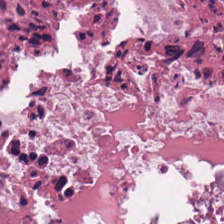FFPE tissue section. 224×224 px patch. Hematoxylin and eosin. The tissue here is debris.
